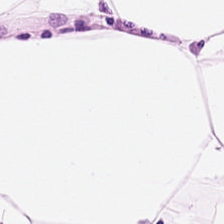H&E-stained tissue section. 20× equivalent magnification. Tissue class = adipocytes.
